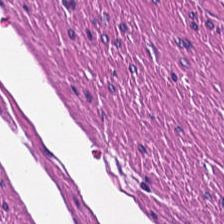H&E-stained tissue section. Finding → smooth muscle.
